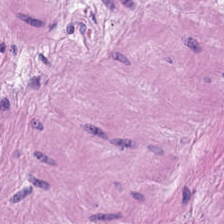Classification = smooth-muscle tissue.
